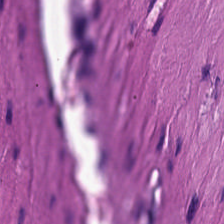Stain: H&E.
Tissue class: muscularis.
